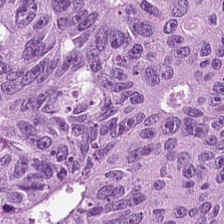H&E.
Classification — colorectal adenocarcinoma epithelium.
